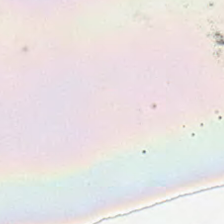Brightfield. Hematoxylin and eosin. The content is empty background.
